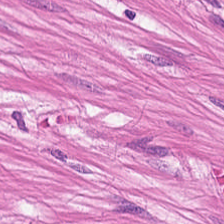H&E stain.
Smooth-muscle tissue.
